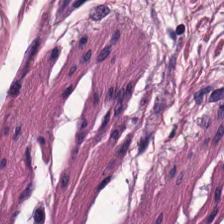Q: What is shown here?
A: It is smooth muscle.
